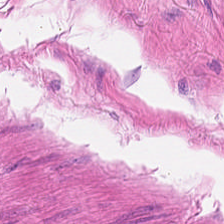Tissue = smooth-muscle tissue.
